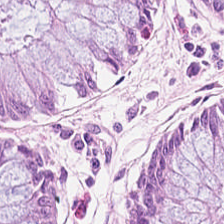H&E.
Predominantly normal colon mucosa.
